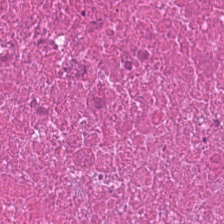Tissue class = debris.
